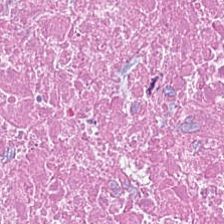H&E stain. Whole-slide-image patch. 224×224 pixel tile — Predominant tissue: necrotic debris.
